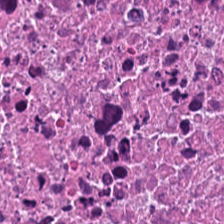224×224 px patch. H&E.
The tissue here is cellular debris.
